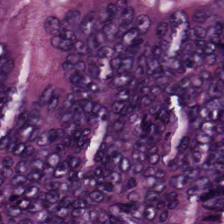H&E-stained tissue section — Tissue: colorectal adenocarcinoma.
